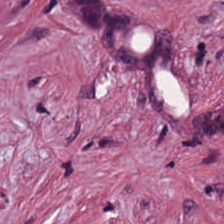Stain: hematoxylin-and-eosin stained section.
Tissue class: tumor stroma.
